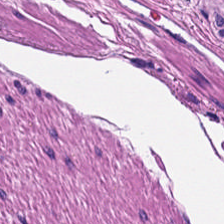Predominant tissue = smooth muscle.
